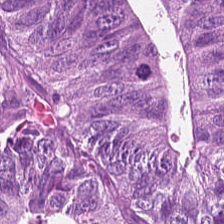224×224 pixel tile; H&E-stained tissue section; 0.5 µm per pixel.
The tissue here is colorectal adenocarcinoma.
